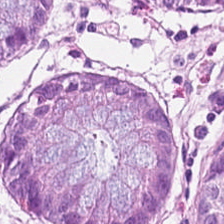Formalin-fixed paraffin-embedded section. 224×224 px patch. Hematoxylin-and-eosin stained section — Showing normal colon mucosa.
